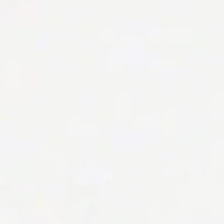WSI patch. FFPE. Hematoxylin-and-eosin stained section. {"content": "no tissue"}
